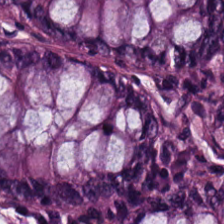Hematoxylin and eosin. Predominant tissue = benign colonic mucosa.
